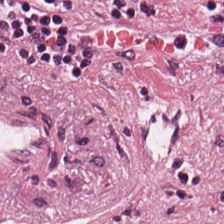H&E stain.
The predominant tissue is desmoplastic stroma.
